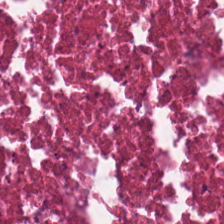H&E.
Showing cellular debris.
